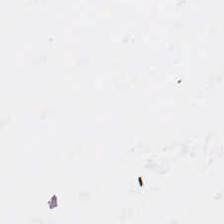Hematoxylin and eosin.
Empty field — background (no tissue).
